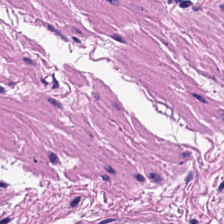Whole-slide-image patch · hematoxylin and eosin — {"tissue_type": "smooth muscle"}
